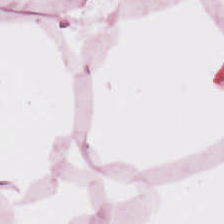Tissue = adipose.
